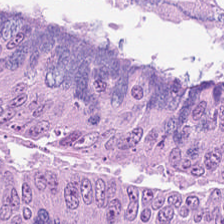20× equivalent magnification · hematoxylin and eosin. Predominantly adenocarcinoma.
